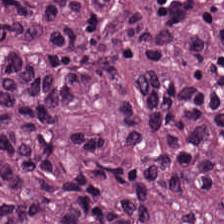H&E stain. Histology — tumor epithelium.
